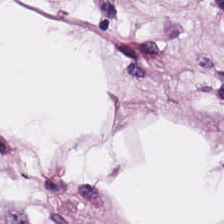Stain: H&E stain.
Tile size: 224×224 pixel tile.
Predominant tissue: adipocytes.
